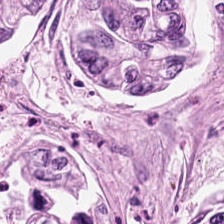H&E stain. Classification = colorectal adenocarcinoma epithelium.
